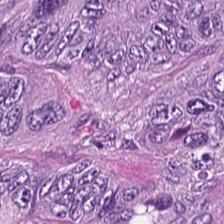Hematoxylin-and-eosin stained section · 224×224 px patch.
The predominant tissue is malignant epithelium.
